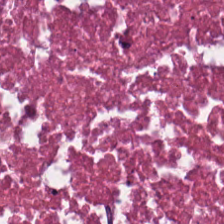Hematoxylin-and-eosin section: necrotic debris.
